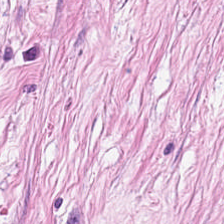Hematoxylin and eosin. {"tissue_type": "cancer-associated stroma"}
